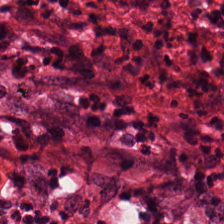Stain: hematoxylin and eosin.
Classification: tumor stroma.
